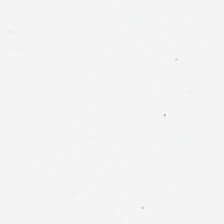Empty field — no tissue.
